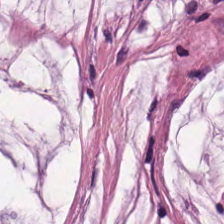Predominantly extracellular mucin.
